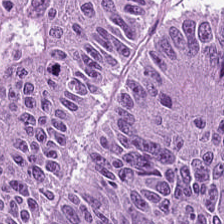Stain: H&E stain.
Tissue: malignant epithelium.
